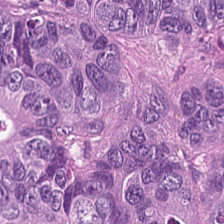FFPE. 20× equivalent magnification. Hematoxylin and eosin — Malignant epithelium.
